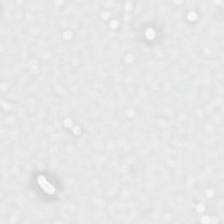Content = empty background.
